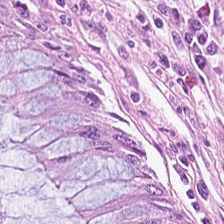Formalin-fixed paraffin-embedded section · H&E — Q: What is shown in this field?
A: This is benign colonic mucosa.
